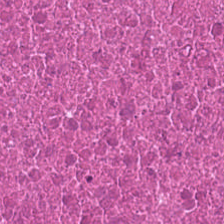Hematoxylin and eosin. Formalin-fixed paraffin-embedded section.
Predominantly necrotic debris.
